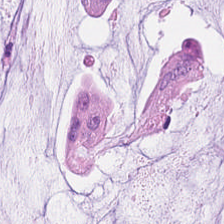224×224 px tile. H&E. Brightfield. Q: What is shown in this field?
A: It is mucus.
